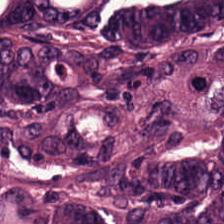H&E — colorectal adenocarcinoma epithelium.
